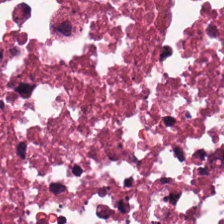FFPE tissue section · H&E. Predominantly necrotic debris.
